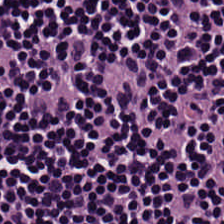FFPE tissue section · H&E. Finding → lymphocytes.
